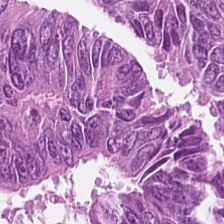Brightfield · H&E-stained tissue section.
Tissue: adenocarcinoma.
